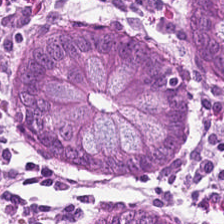224×224 px patch; H&E; 0.5 µm per pixel. The predominant tissue is normal colonic mucosa.
